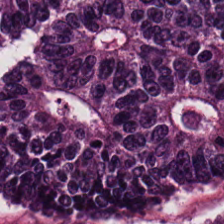Predominant tissue = malignant epithelium.
